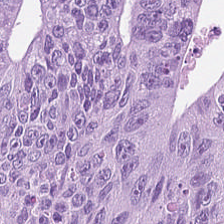H&E-stained tissue section — Q: What tissue is shown?
A: It is tumor epithelium.
